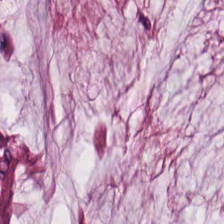0.5 µm/px. H&E. Brightfield microscopy.
Finding — mucus.
